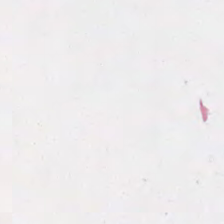Hematoxylin-and-eosin stained section. Brightfield. The classification is background (no tissue).
